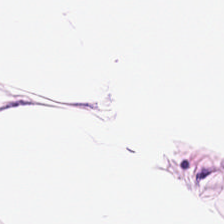Stain: hematoxylin and eosin.
Tissue type: adipose tissue.
